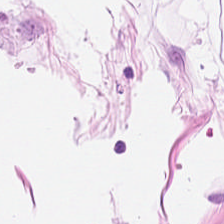Hematoxylin and eosin. Adipose.
